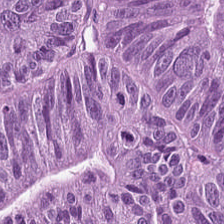Predominantly colorectal adenocarcinoma epithelium.
